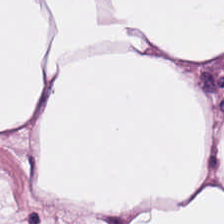Q: What is shown in this field?
A: This is fat tissue.
